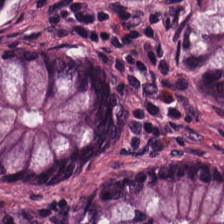H&E stain · 0.5 microns per pixel — The predominant tissue is normal colonic mucosa.
